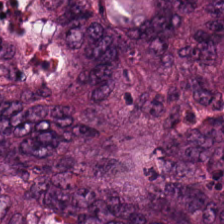WSI patch · hematoxylin-and-eosin stained section · 0.5 µm per pixel.
Tissue type: adenocarcinoma.
